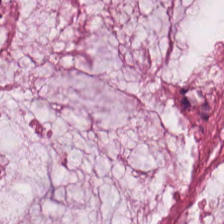H&E stain; formalin-fixed paraffin-embedded section. {"tissue_type": "mucin"}
